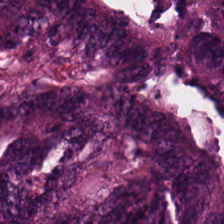H&E-stained tissue section.
Histology — tumor epithelium.
